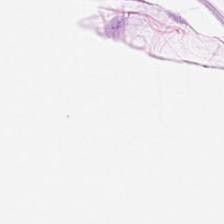Formalin-fixed paraffin-embedded section · H&E stain. Adipose tissue.
